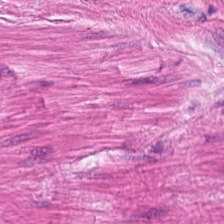0.5 µm per pixel; H&E; WSI patch.
The predominant tissue is smooth muscle.
